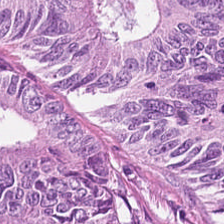Showing malignant epithelium.
